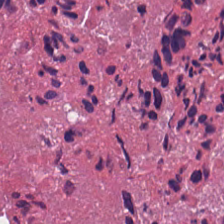Hematoxylin-and-eosin stained section · brightfield microscopy — Q: Classify this patch.
A: Debris.
